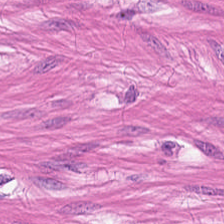Hematoxylin and eosin.
This patch shows smooth muscle.
